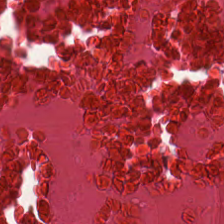H&E patch showing cellular debris.
